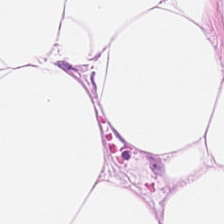Hematoxylin and eosin. 0.5 µm/px — The predominant tissue is adipose.
